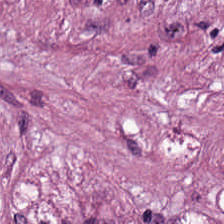H&E stain.
Q: What tissue type is shown here?
A: The field shows desmoplastic stroma.
